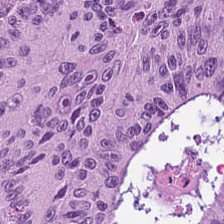Formalin-fixed paraffin-embedded section. Hematoxylin and eosin — Showing colorectal adenocarcinoma.
